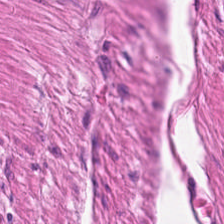Hematoxylin-and-eosin stained section.
Tissue class — muscularis.
